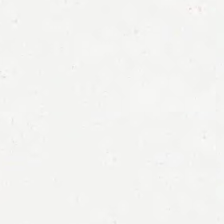20× equivalent magnification · H&E. This patch shows no tissue.
